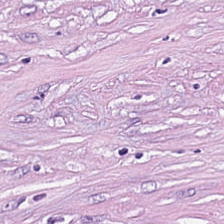H&E · WSI patch · 224×224 px tile.
Showing tumor stroma.
